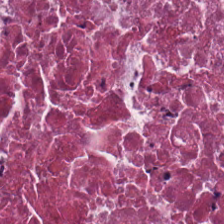WSI patch · H&E-stained tissue section — Showing necrotic debris.
